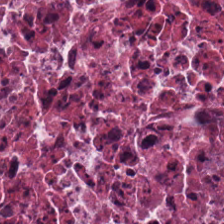FFPE; H&E; 0.5 microns per pixel — Q: What is the predominant tissue type?
A: Cellular debris.
